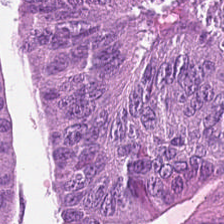Stain: hematoxylin and eosin.
Classification: colorectal adenocarcinoma.
